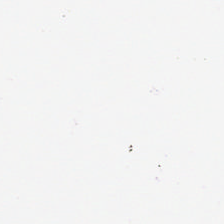Formalin-fixed paraffin-embedded section · H&E stain — The classification is background.
